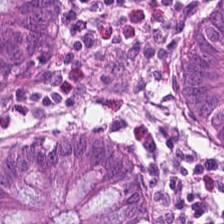The predominant tissue is normal colonic mucosa.
